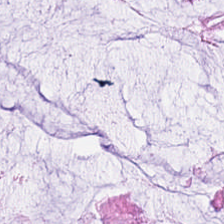Hematoxylin and eosin — This field is normal colonic mucosa.
